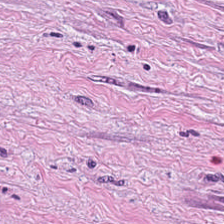224×224 pixel tile · H&E. Tumor-associated stroma.
